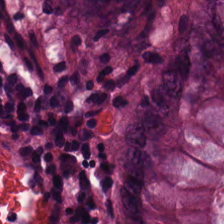Hematoxylin and eosin. The tissue here is normal colonic mucosa.
